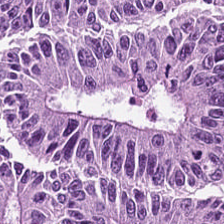Hematoxylin and eosin. Showing malignant epithelium.
